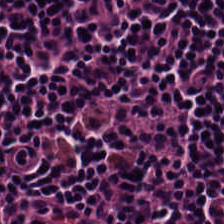H&E — Classification: lymphoid infiltrate.
